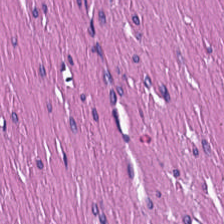Hematoxylin and eosin. The tissue is muscularis.
